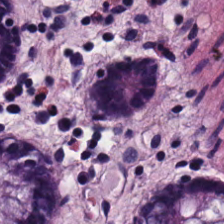Stain: H&E.
Tissue type: non-neoplastic colon mucosa.
